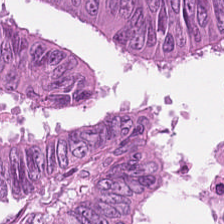H&E-stained tissue section — Tissue class: malignant epithelium.
